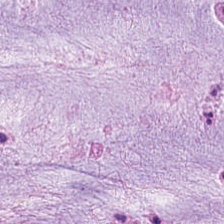Hematoxylin and eosin; FFPE tissue section.
Q: What tissue type is shown here?
A: This is mucin.
